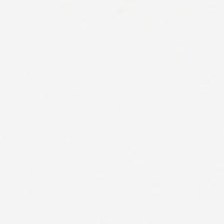Hematoxylin and eosin.
Empty field — background (no tissue).
